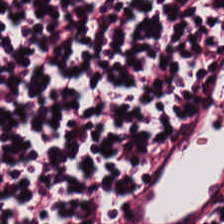Formalin-fixed paraffin-embedded section · H&E stain. This field is lymphocytic infiltrate.
